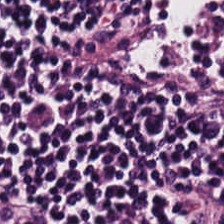H&E stain. Brightfield microscopy. 20× equivalent magnification.
Tissue type: lymphocyte aggregate.
